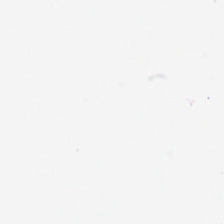The classification is empty background.
